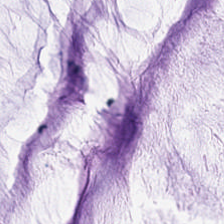Showing extracellular mucin.
